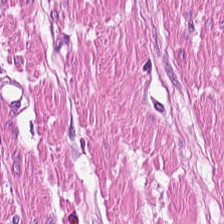Showing smooth-muscle tissue.
